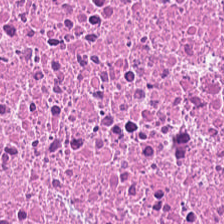Hematoxylin and eosin. The predominant tissue is debris.
